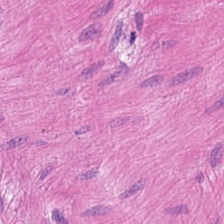Q: What tissue is shown?
A: It is smooth muscle.
